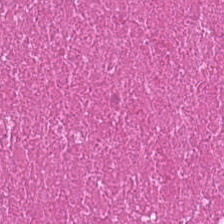Q: What does this patch show?
A: The field shows necrotic debris.
